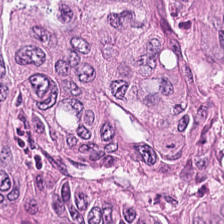Impression → tumor epithelium.
